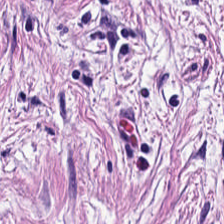The tissue here is tumor-associated stroma.
